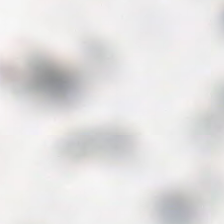H&E-stained tissue section. Histology → no tissue.
